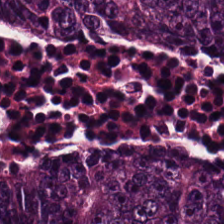H&E-stained tissue section.
{"tissue_type": "colorectal adenocarcinoma epithelium"}
